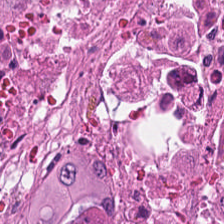H&E.
Impression → necrotic debris.
